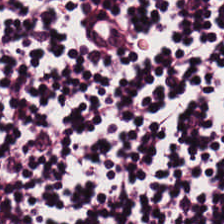The classification is lymphocytes.
